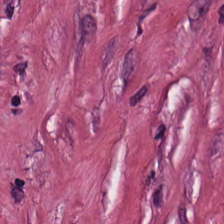H&E stain. The predominant tissue is desmoplastic stroma.
